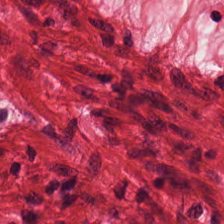Hematoxylin-and-eosin stained section. FFPE tissue section.
Showing smooth-muscle tissue.
